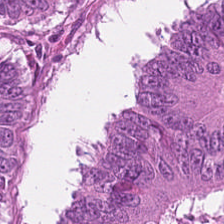0.5 microns per pixel; H&E.
This patch shows adenocarcinoma.
